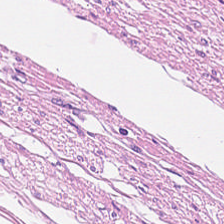Q: What tissue is shown?
A: This is muscularis.
